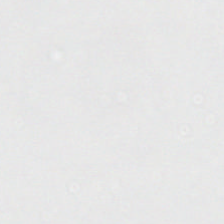224×224 pixel tile · hematoxylin and eosin. Q: Classify this patch.
A: It is background (no tissue).
